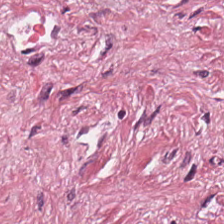Classification — tumor-associated stroma.
